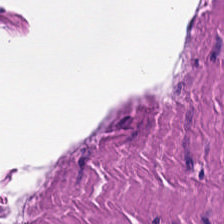H&E-stained tissue section. Brightfield microscopy — Q: Identify the tissue.
A: It is smooth-muscle tissue.
